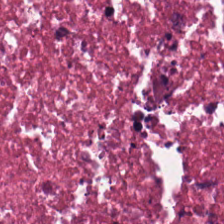The predominant tissue is debris.
